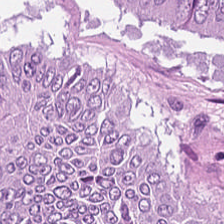224×224 pixel tile. Hematoxylin-and-eosin stained section — {"tissue_type": "tumor epithelium"}
